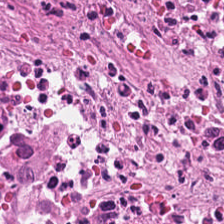Q: What type of tissue is this?
A: Debris.
